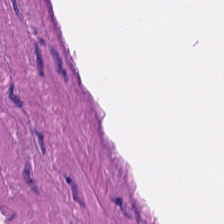Whole-slide-image patch · 224×224 px patch · hematoxylin and eosin — Q: What is shown here?
A: Muscularis.
